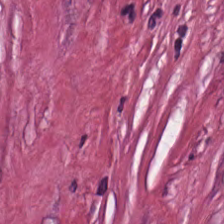Hematoxylin and eosin — Predominantly desmoplastic stroma.
